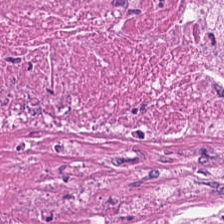Stain: hematoxylin-and-eosin stained section.
Resolution: 20× equivalent magnification.
Preparation: formalin-fixed paraffin-embedded section.
Predominant tissue: necrotic debris.
